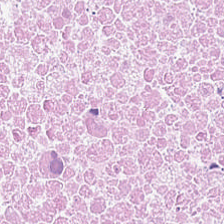0.5 microns per pixel; 224×224 pixel tile; hematoxylin-and-eosin stained section.
Tissue: debris.
